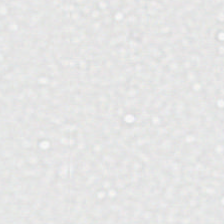H&E; FFPE tissue section — This patch shows empty background.
